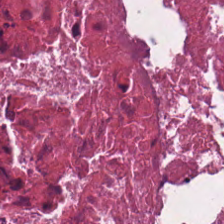Hematoxylin and eosin.
This patch shows necrotic debris.
